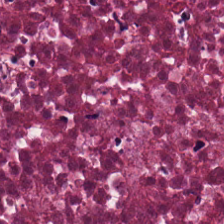Q: What does this patch show?
A: The field shows debris.
